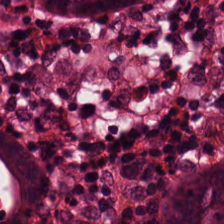H&E-stained tissue section showing normal colon mucosa.
